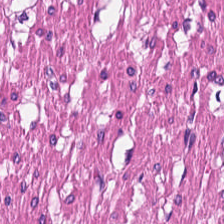Predominantly muscularis.
